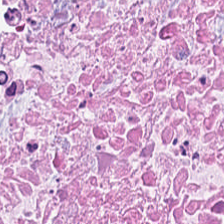H&E — debris.
